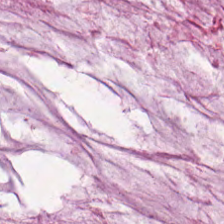H&E stain. Predominantly mucus.
